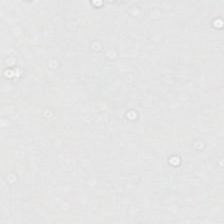H&E.
Q: Classify this patch.
A: This is no tissue.
